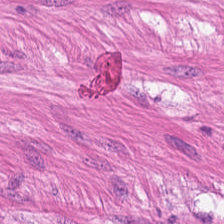Hematoxylin and eosin — This patch shows smooth-muscle tissue.
